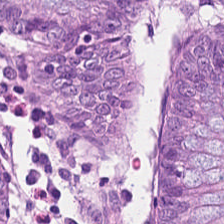H&E-stained tissue section. Histology — normal colonic mucosa.
